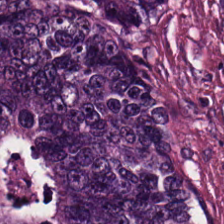Hematoxylin and eosin.
This patch shows tumor epithelium.
